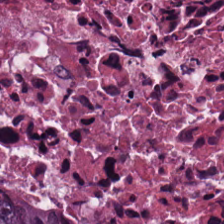Hematoxylin and eosin. Showing debris.
